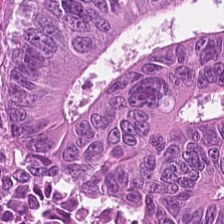FFPE tissue section; hematoxylin-and-eosin stained section.
Colorectal adenocarcinoma.
